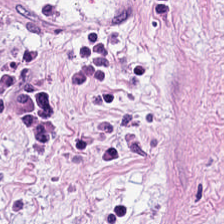H&E · 0.5 µm per pixel — Cancer-associated stroma.
